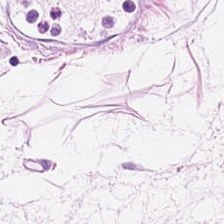Brightfield · H&E. This patch shows adipocytes.
